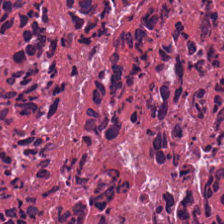FFPE tissue section; hematoxylin-and-eosin stained section; brightfield. This patch shows debris.
